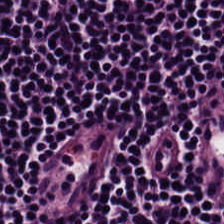FFPE tissue section; hematoxylin and eosin.
Q: Identify the tissue.
A: Lymphoid infiltrate.
